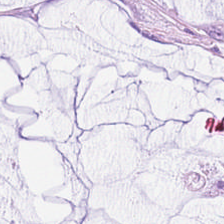H&E · 224×224 pixel tile.
Q: What is the predominant tissue type?
A: Mucin.
